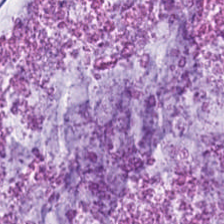Tissue = mucus.
